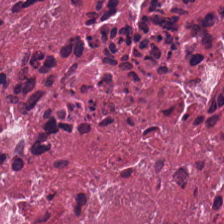Hematoxylin and eosin.
Histology → necrotic debris.
